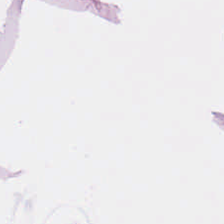Stain: hematoxylin and eosin.
Tissue class: adipocytes.
